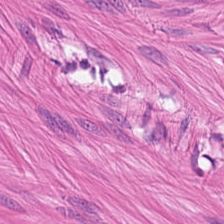H&E — smooth-muscle tissue.
